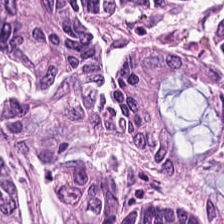Hematoxylin and eosin.
{"tissue_type": "colorectal adenocarcinoma epithelium"}
